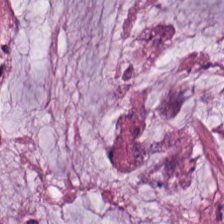20× equivalent magnification; WSI patch; H&E. The predominant tissue is mucin.
